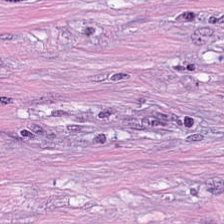Stain: hematoxylin and eosin.
Resolution: 0.5 microns per pixel.
Classification: tumor stroma.
